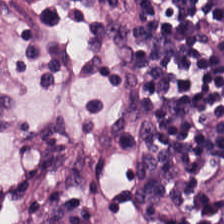FFPE tissue section. Hematoxylin and eosin. Q: What does this patch show?
A: It is lymphoid infiltrate.
